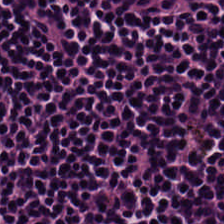H&E stain.
Tissue class: lymphoid infiltrate.
